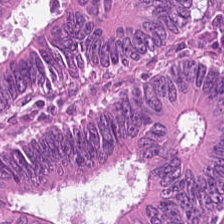Impression → colorectal adenocarcinoma.
